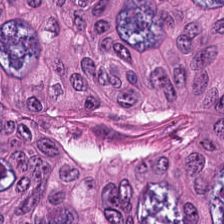Hematoxylin-and-eosin stained section — Impression → tumor epithelium.
